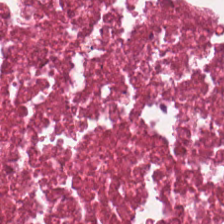H&E. 0.5 µm/px — Tissue — cellular debris.
